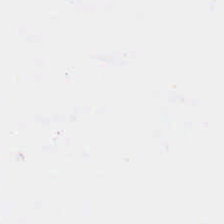H&E — Background.
